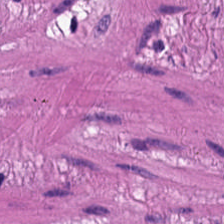Hematoxylin and eosin.
Tissue type: smooth-muscle tissue.
